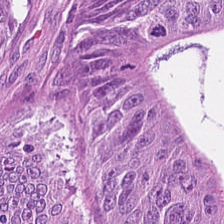Hematoxylin-and-eosin stained section — {"tissue_type": "malignant epithelium"}
